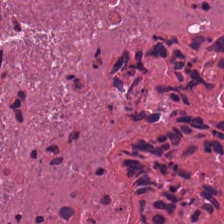Hematoxylin and eosin — Q: Classify this patch.
A: It is necrotic debris.
